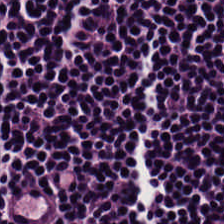224×224 pixel tile. H&E-stained tissue section — The tissue type is lymphocyte aggregate.
